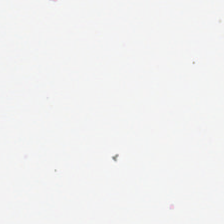Stain: hematoxylin-and-eosin stained section.
Field content: background (no tissue).
